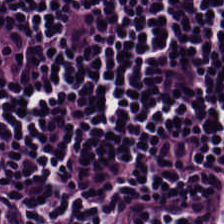Hematoxylin-and-eosin stained section; 0.5 µm/px. Predominant tissue = lymphocyte aggregate.
